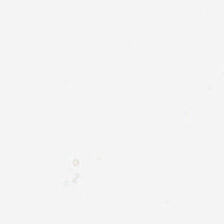Background — no tissue in this field.
